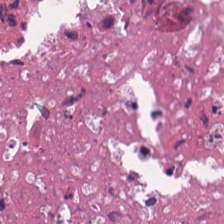H&E stain; formalin-fixed paraffin-embedded section. Tissue — necrotic debris.
